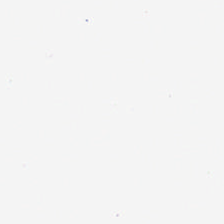Hematoxylin and eosin. Q: What is shown here?
A: It is background.
